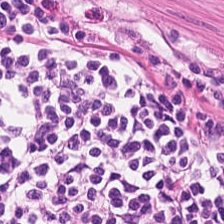Histology — muscularis.
